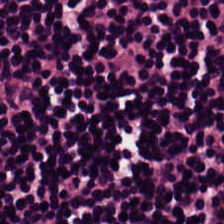Hematoxylin and eosin. The predominant tissue is lymphocyte aggregate.
